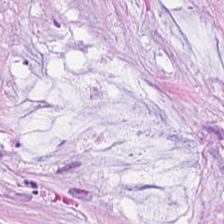H&E · 224×224 px tile. Q: What tissue type is shown here?
A: This is mucus.
